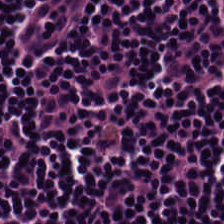Hematoxylin-and-eosin stained section.
Predominant tissue: lymphocytes.
